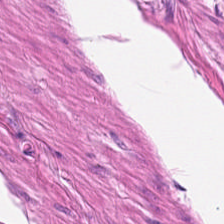Hematoxylin and eosin. 224×224 px tile — Tissue: muscularis.
